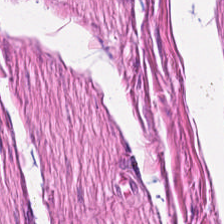H&E-stained section; the field shows smooth muscle.
